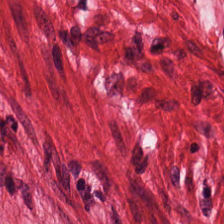Impression → muscularis.
